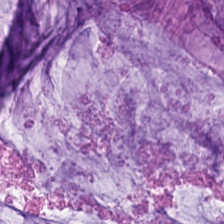WSI patch. 224×224 px patch. H&E stain. The tissue here is mucin.
